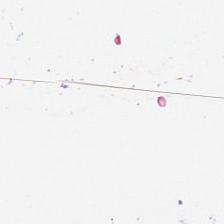H&E stain.
Field content — background.
